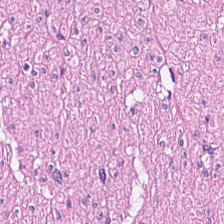Brightfield · FFPE · hematoxylin and eosin. Tissue: smooth muscle.
